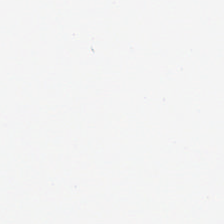Hematoxylin-and-eosin stained section. This field is background (no tissue).
